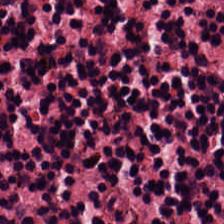Stain: H&E.
Tissue type: lymphocytic infiltrate.
